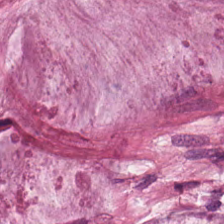Hematoxylin-and-eosin stained section. Q: What type of tissue is this?
A: Mucin.
